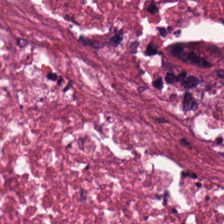Hematoxylin-and-eosin stained section — {"tissue_type": "cellular debris"}
